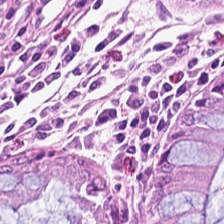The tissue is benign colonic mucosa.
